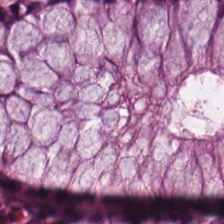Stain: H&E-stained tissue section.
Tissue class: normal colonic mucosa.
